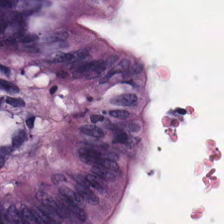H&E-stained tissue section — Predominantly normal colon mucosa.
